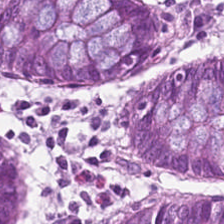Stain: H&E stain.
Preparation: FFPE tissue section.
Predominant tissue: non-neoplastic colon mucosa.
